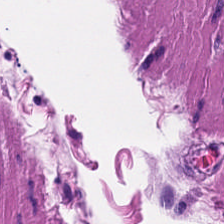Stain: hematoxylin-and-eosin stained section.
Tissue: smooth muscle.
